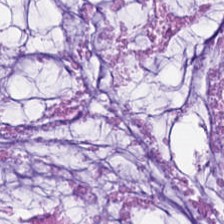Hematoxylin and eosin. 0.5 µm per pixel. FFPE tissue section. This patch shows extracellular mucin.
